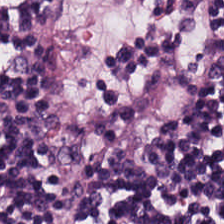Hematoxylin and eosin; 0.5 µm per pixel. This patch shows lymphocytes.
